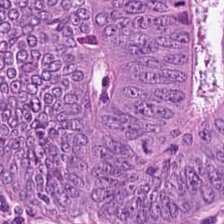H&E stain.
Q: Identify the tissue.
A: This is adenocarcinoma.
